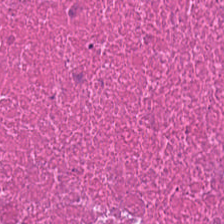224×224 pixel tile; H&E-stained tissue section.
Q: What is the predominant tissue type?
A: The field shows debris.
